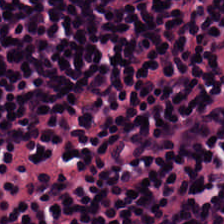Stain: H&E-stained tissue section.
Classification: lymphocytic infiltrate.
